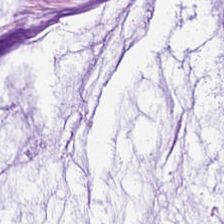H&E; whole-slide-image patch — Finding — extracellular mucin.
